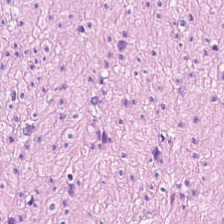Histology → smooth-muscle tissue.
